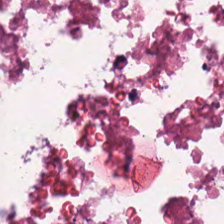H&E patch showing cellular debris.
